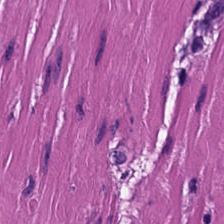This patch shows smooth-muscle tissue.
